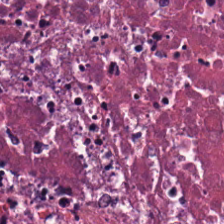0.5 microns per pixel; hematoxylin-and-eosin stained section; brightfield microscopy. The tissue is debris.
